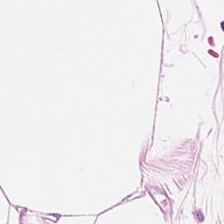Tissue class: fat tissue.
